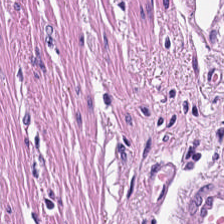Q: Identify the tissue.
A: It is smooth-muscle tissue.
